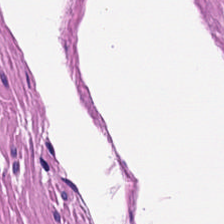H&E-stained tissue section. Tissue type = smooth-muscle tissue.
